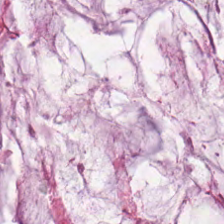Stain: hematoxylin-and-eosin stained section.
Resolution: 20× equivalent magnification.
Classification: extracellular mucin.
